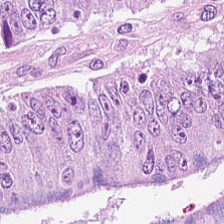Showing adenocarcinoma.
